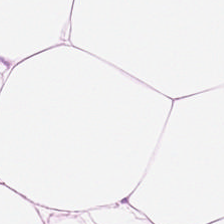{"tissue_type": "adipocytes"}
